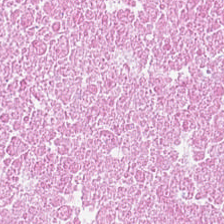Hematoxylin-and-eosin stained section.
Showing debris.
